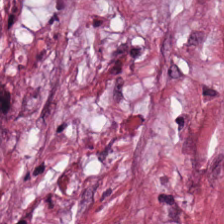224×224 px patch. H&E-stained tissue section.
The tissue here is cancer-associated stroma.
